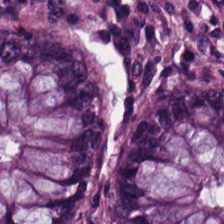Histology — normal colonic mucosa.
